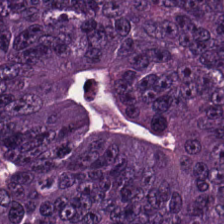Brightfield. Hematoxylin-and-eosin stained section. FFPE tissue section. Impression → colorectal adenocarcinoma.
